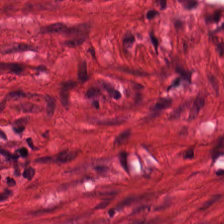224×224 px patch. Hematoxylin-and-eosin stained section.
Q: What is shown in this field?
A: It is smooth muscle.
